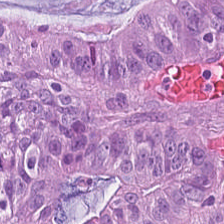Stain: hematoxylin and eosin.
Tissue class: colorectal adenocarcinoma epithelium.
